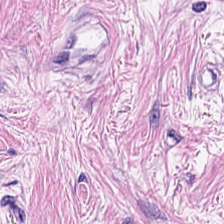Q: What tissue type is shown here?
A: The field shows cancer-associated stroma.
